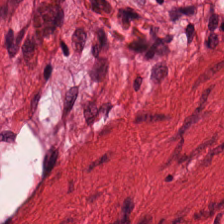H&E-stained tissue section.
Q: Identify the tissue.
A: Muscularis.
